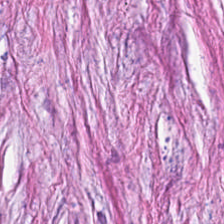224×224 pixel tile; H&E-stained tissue section.
Q: What type of tissue is this?
A: It is tumor stroma.
